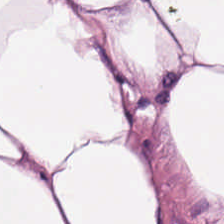Stain: H&E stain.
Acquisition: brightfield microscopy.
Tissue class: fat tissue.
